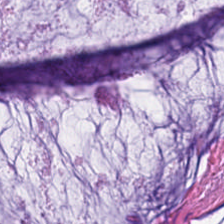H&E stain.
Predominant tissue: extracellular mucin.
